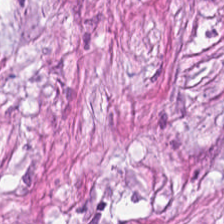20× equivalent magnification; H&E-stained tissue section. Tumor-associated stroma.
